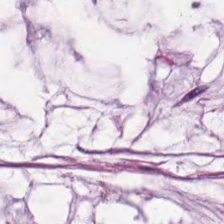H&E stain — Classification: mucus.
